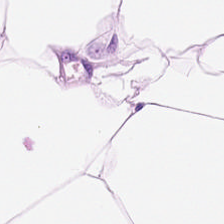Whole-slide-image patch; H&E-stained tissue section.
The tissue type is adipose.
